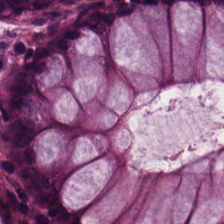Hematoxylin and eosin.
Tissue class = normal colon mucosa.
